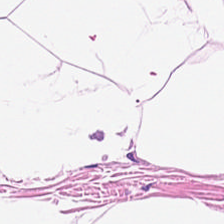Tissue type: adipose tissue.
